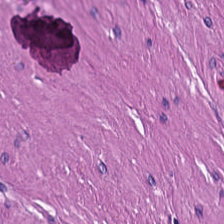H&E-stained tissue section — Tissue — smooth muscle.
